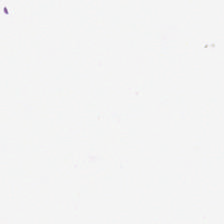0.5 microns per pixel · H&E-stained tissue section · 224×224 px tile — Q: What is shown in this field?
A: This is background (no tissue).
